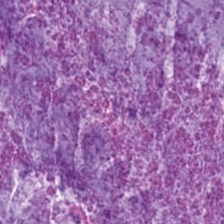H&E stain.
The tissue is extracellular mucin.
